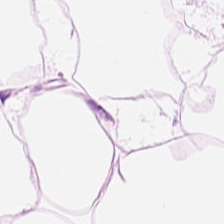H&E stain · FFPE — The tissue here is adipocytes.
